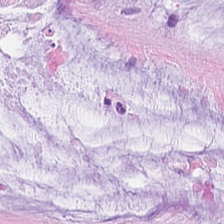Hematoxylin-and-eosin stained section.
The predominant tissue is mucus.
